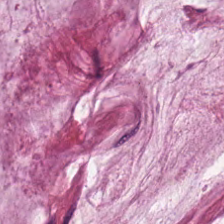H&E-stained tissue section.
Impression → mucin.
